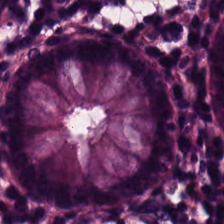Hematoxylin-and-eosin stained section.
This field is benign colonic mucosa.
